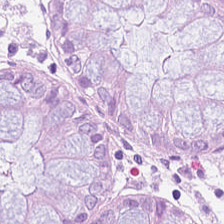H&E-stained tissue section. This patch shows normal colonic mucosa.
